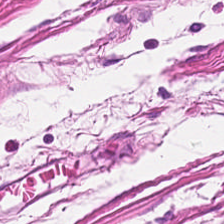H&E stain.
The tissue type is smooth muscle.
